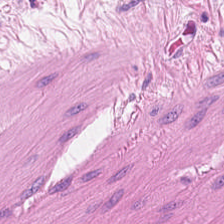Stain: H&E-stained tissue section.
Predominant tissue: smooth-muscle tissue.
